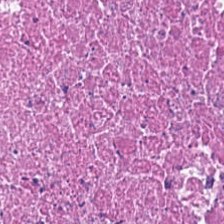H&E.
Showing debris.
